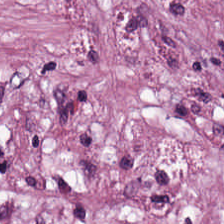Hematoxylin and eosin · 224×224 px patch — Tissue type: cancer-associated stroma.
